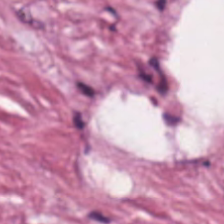H&E stain.
Predominantly cancer-associated stroma.
